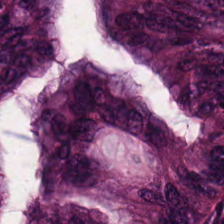Hematoxylin and eosin. 20× equivalent magnification — Q: What does this patch show?
A: It is tumor epithelium.
